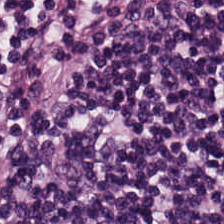H&E · FFPE tissue section.
The predominant tissue is lymphoid infiltrate.
